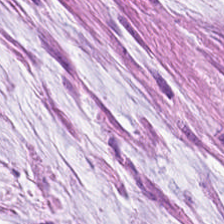Stain: H&E-stained tissue section.
Tissue: mucin.
